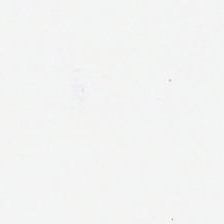H&E-stained tissue section — No tissue present; background only.
